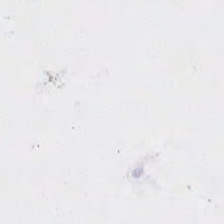Hematoxylin and eosin. Field content — background (no tissue).
